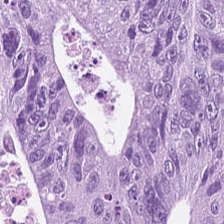H&E stain. 0.5 µm per pixel. Whole-slide-image patch — Q: What is shown here?
A: It is tumor epithelium.
